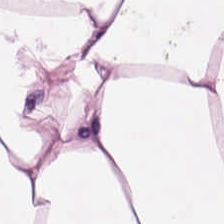224×224 px patch · H&E stain — The tissue class is adipose.
